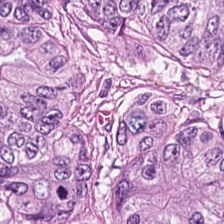224×224 px patch; 0.5 microns per pixel; H&E-stained tissue section. Q: What tissue type is shown here?
A: Colorectal adenocarcinoma.
